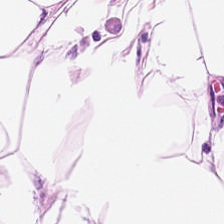Hematoxylin and eosin — Classification: adipose tissue.
